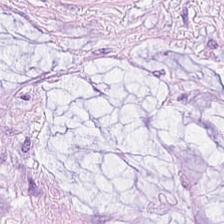Hematoxylin and eosin — This field is extracellular mucin.
